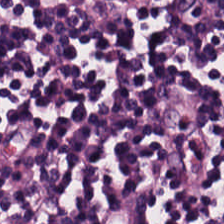Hematoxylin and eosin; FFPE tissue section; 224×224 px patch — Showing lymphoid infiltrate.
